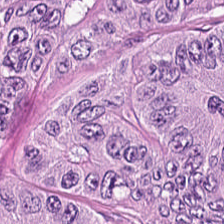The tissue class is tumor epithelium.
